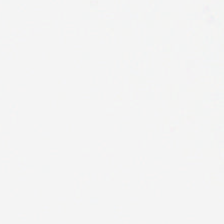H&E.
Field content = empty background.
